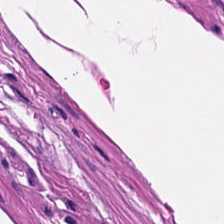H&E-stained tissue section. Tissue type — smooth muscle.
